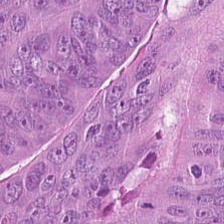H&E.
Predominant tissue = colorectal adenocarcinoma.
